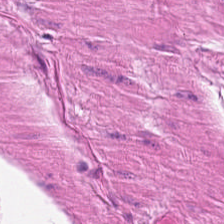Whole-slide-image patch · hematoxylin-and-eosin stained section. Q: Identify the tissue.
A: This is smooth-muscle tissue.
